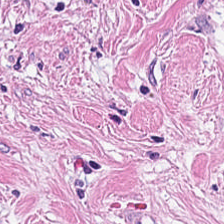H&E-stained tissue section · FFPE. This field is tumor stroma.
